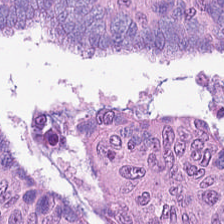H&E-stained tissue section. The tissue here is adenocarcinoma.
